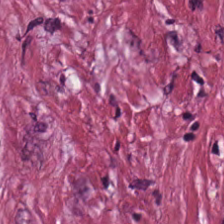Stain: H&E-stained tissue section.
Tissue: tumor-associated stroma.
